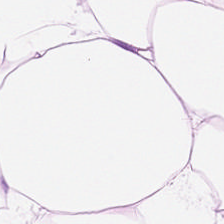Hematoxylin and eosin.
Finding → fat tissue.
